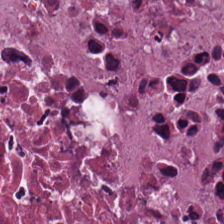H&E-stained tissue section — Predominantly cellular debris.
